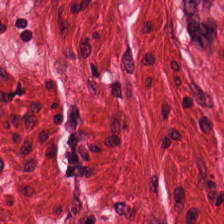Stain: hematoxylin-and-eosin stained section.
Tile size: 224×224 px tile.
Classification: smooth muscle.
